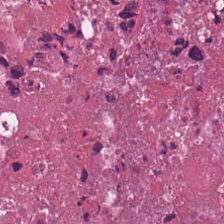0.5 microns per pixel. H&E stain.
The predominant tissue is debris.
